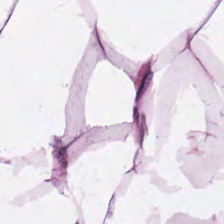Adipose tissue.
